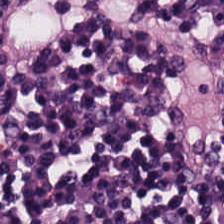20× equivalent magnification. H&E. 224×224 px patch.
This patch shows lymphocytes.
